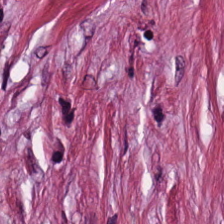Stain: H&E-stained tissue section.
Resolution: 20× equivalent magnification.
Classification: cancer-associated stroma.
